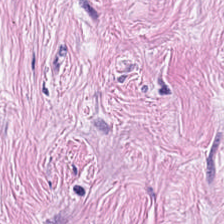Tissue type: tumor-associated stroma.
